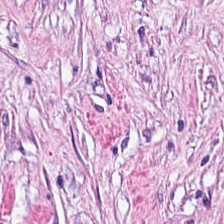Stain: H&E-stained tissue section.
Classification: desmoplastic stroma.
